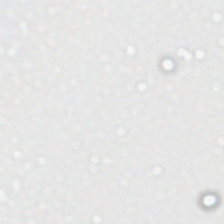H&E stain — Empty field — no tissue.
